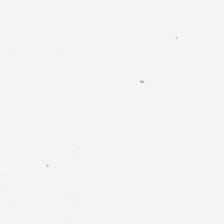0.5 microns per pixel · hematoxylin and eosin · 224×224 px tile.
Background — no tissue in this field.
